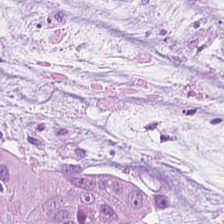H&E stain — Showing extracellular mucin.
